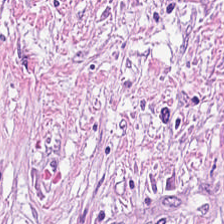Hematoxylin and eosin.
Tumor stroma.
